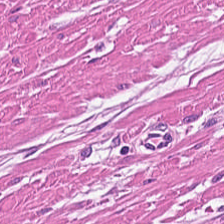WSI patch; hematoxylin and eosin; 0.5 µm/px — Tissue type — smooth muscle.
